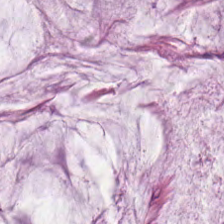20× equivalent magnification; hematoxylin-and-eosin stained section; WSI patch. Q: What is shown in this field?
A: It is extracellular mucin.
